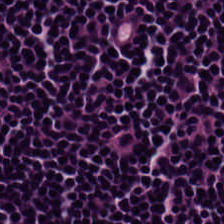H&E stain. Predominantly lymphoid infiltrate.
